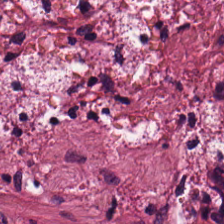Impression → cancer-associated stroma.
